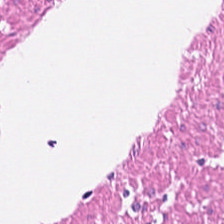WSI patch; hematoxylin-and-eosin stained section — Classification — smooth-muscle tissue.
